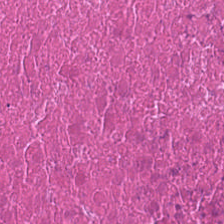H&E stain.
Q: What tissue type is shown here?
A: The field shows cellular debris.
